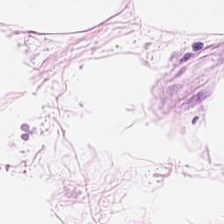224×224 pixel tile · H&E-stained tissue section — Histology → adipose.
